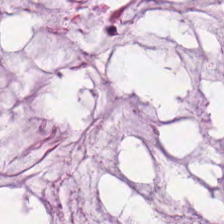Hematoxylin-and-eosin stained section. 224×224 px patch — Predominant tissue: extracellular mucin.
